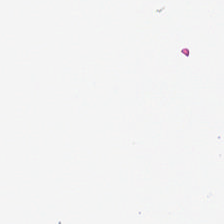WSI patch · 224×224 px tile · hematoxylin-and-eosin stained section.
Field content: empty background.
